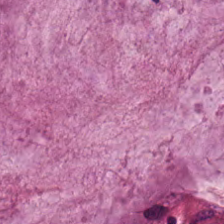Hematoxylin and eosin.
The tissue here is mucin.
